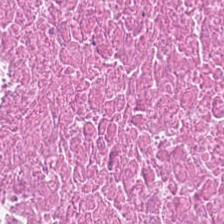Stain: hematoxylin and eosin.
Tissue type: cellular debris.
